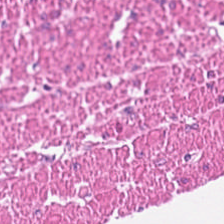H&E-stained tissue section.
This field is smooth muscle.
